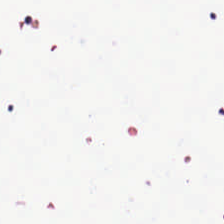H&E; 224×224 pixel tile; WSI patch. The field content is background (no tissue).
